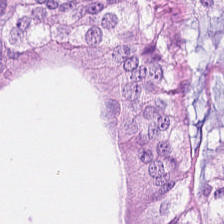Whole-slide-image patch; 224×224 pixel tile; H&E.
The tissue type is tumor epithelium.
